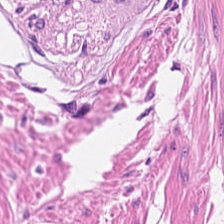Q: What tissue is shown?
A: This is muscularis.
